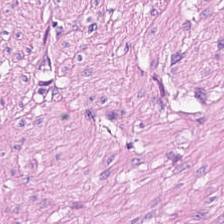224×224 pixel tile · hematoxylin and eosin · 0.5 µm/px. Tissue: muscularis.
